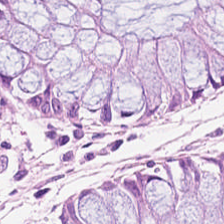Hematoxylin and eosin; formalin-fixed paraffin-embedded section.
This field is normal colonic mucosa.
